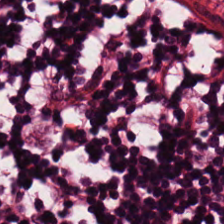Stain: hematoxylin and eosin.
Tissue class: lymphocytes.
